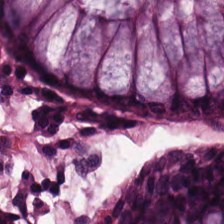Hematoxylin and eosin.
This patch shows benign colonic mucosa.
